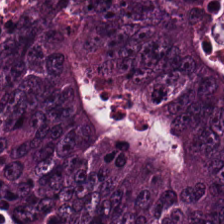Hematoxylin and eosin.
Tissue class: colorectal adenocarcinoma.
